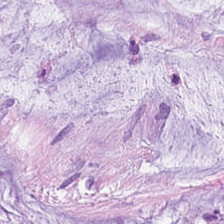Whole-slide-image patch · 224×224 pixel tile · H&E. Tissue type — mucin.
